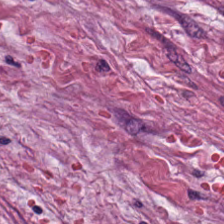H&E — Predominantly tumor-associated stroma.
